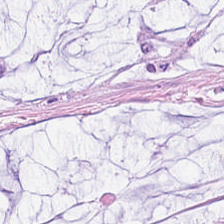The tissue here is mucin.
